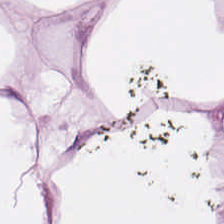Predominantly fat tissue.
